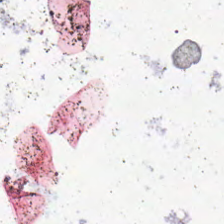H&E-stained tissue section. Whole-slide-image patch. Formalin-fixed paraffin-embedded section. {"content": "no tissue"}
